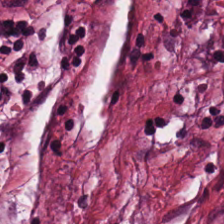20× equivalent magnification; hematoxylin and eosin; 224×224 px tile. Q: Classify this patch.
A: Desmoplastic stroma.
